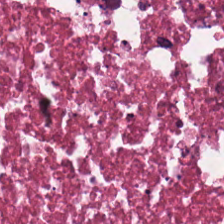H&E stain. Formalin-fixed paraffin-embedded section. Cellular debris.
